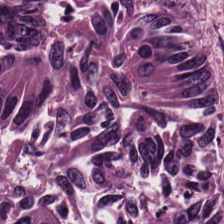Stain: H&E-stained tissue section.
Tile size: 224×224 px tile.
Acquisition: brightfield.
Tissue type: colorectal adenocarcinoma epithelium.
